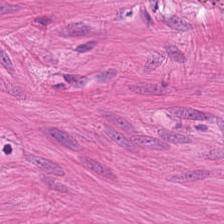H&E stain.
This patch shows smooth-muscle tissue.
